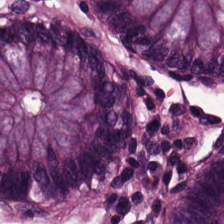Predominant tissue: benign colonic mucosa.
